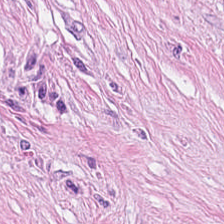H&E stain. 224×224 px tile. FFPE — Q: What type of tissue is this?
A: The field shows cancer-associated stroma.
